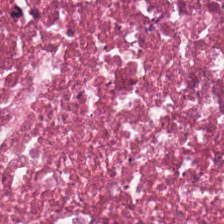The tissue here is cellular debris.
